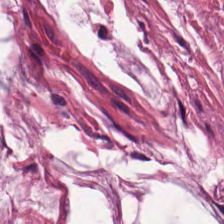Hematoxylin-and-eosin stained section.
Q: Classify this patch.
A: Mucin.
